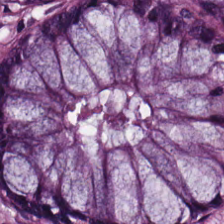H&E stain. The tissue here is benign colonic mucosa.
